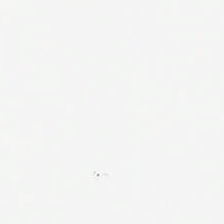Empty field — background.
